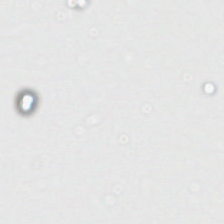H&E-stained tissue section — Q: What does this patch show?
A: This is background.
